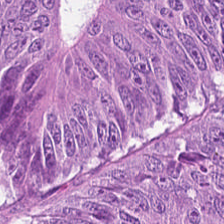224×224 px tile. 20× equivalent magnification. Hematoxylin and eosin — This patch shows colorectal adenocarcinoma epithelium.
